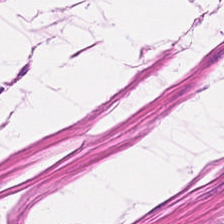Brightfield · H&E stain · 224×224 px patch — Tissue type — muscularis.
